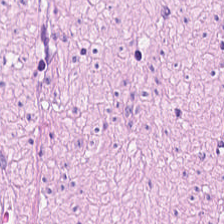Tissue — smooth-muscle tissue.
